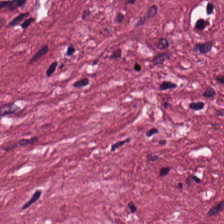Hematoxylin and eosin.
Showing tumor stroma.
